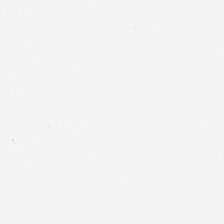H&E stain · 0.5 µm per pixel — Finding — background.
